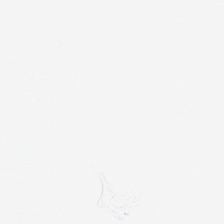Hematoxylin-and-eosin stained section — Background — no tissue in this field.
